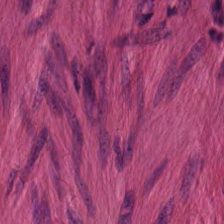Q: What does this patch show?
A: Smooth-muscle tissue.
